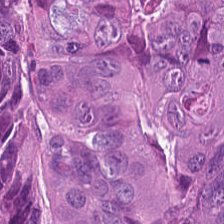Stain: hematoxylin and eosin.
Tile size: 224×224 px patch.
Acquisition: brightfield microscopy.
Tissue: colorectal adenocarcinoma epithelium.
